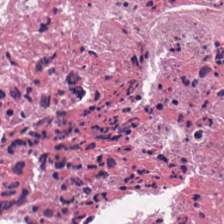Hematoxylin and eosin. The tissue here is necrotic debris.
